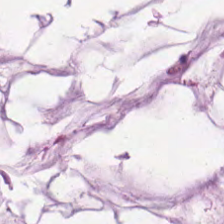Stain: hematoxylin and eosin.
Resolution: 0.5 µm/px.
Acquisition: brightfield.
Predominant tissue: mucin.
